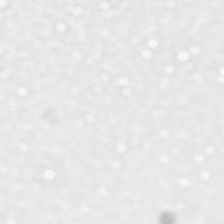Content: empty background.
